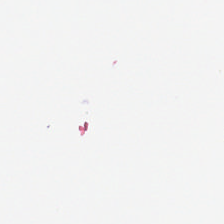This patch shows empty background.
